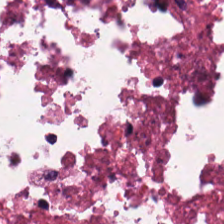WSI patch. Hematoxylin and eosin. FFPE tissue section.
The tissue here is necrotic debris.
